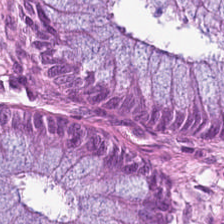224×224 pixel tile. H&E-stained tissue section. This patch shows non-neoplastic colon mucosa.
